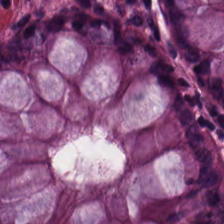Stain: H&E stain.
Tissue type: benign colonic mucosa.
